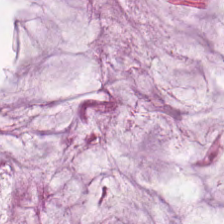WSI patch; hematoxylin-and-eosin stained section — {"tissue_type": "mucin"}
